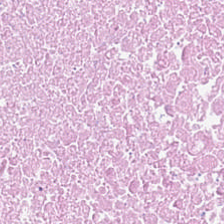Tissue — cellular debris.
